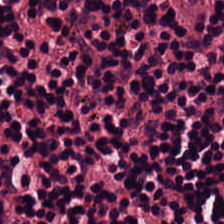H&E stain.
Tissue = lymphocyte aggregate.
